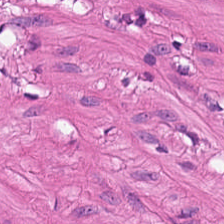H&E stain.
Smooth-muscle tissue.
